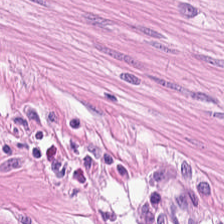H&E. Smooth muscle.
